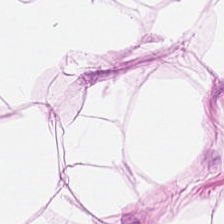H&E stain — Tissue class: adipose.
